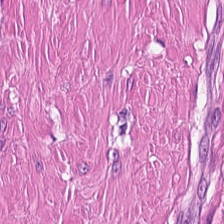Hematoxylin-and-eosin stained section.
This field is smooth muscle.
